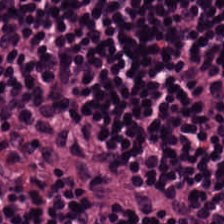The predominant tissue is lymphocyte aggregate.
